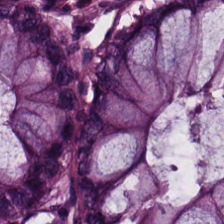0.5 µm per pixel; hematoxylin and eosin; whole-slide-image patch. Tissue type = benign colonic mucosa.
